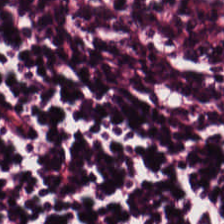0.5 µm per pixel; hematoxylin and eosin. Predominantly lymphocytes.
